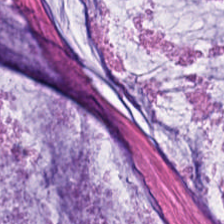Stain: H&E-stained tissue section.
Tissue type: extracellular mucin.
